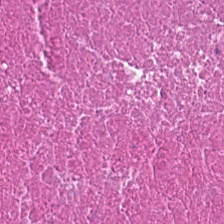H&E stain; FFPE; 224×224 px tile. Tissue class — cellular debris.
